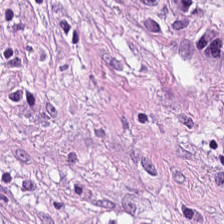H&E stain. This field is cancer-associated stroma.
